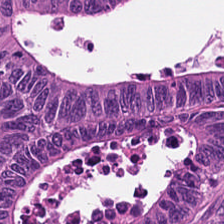H&E stain · 224×224 px tile. The predominant tissue is adenocarcinoma.
